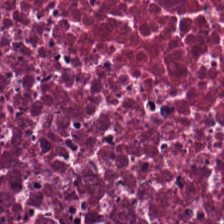Hematoxylin and eosin; FFPE tissue section. Cellular debris.
